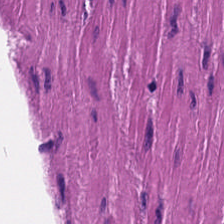0.5 µm/px. Hematoxylin-and-eosin stained section — Tissue = smooth muscle.
